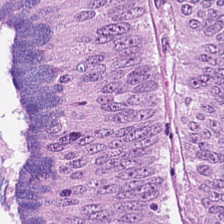Hematoxylin-and-eosin stained section; 224×224 px tile; brightfield — Predominant tissue = adenocarcinoma.
